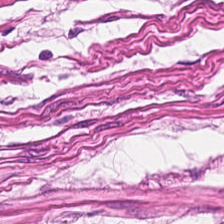Formalin-fixed paraffin-embedded section; H&E-stained tissue section — Smooth-muscle tissue.
